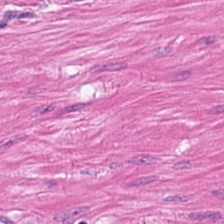20× equivalent magnification. H&E stain. Q: What is shown here?
A: This is smooth-muscle tissue.
